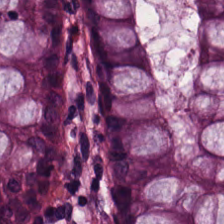Q: What tissue is shown?
A: Normal colonic mucosa.
